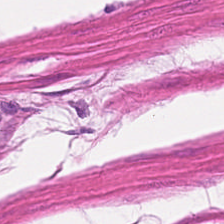Tissue type = smooth muscle.
